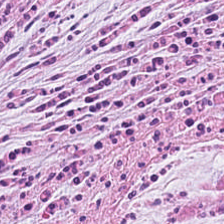Histology — tumor-associated stroma.
